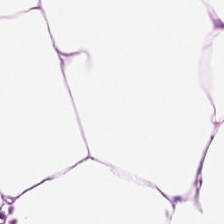Stain: H&E.
Preparation: FFPE tissue section.
Tile size: 224×224 px tile.
Tissue type: adipose.
